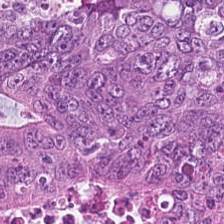H&E stain · formalin-fixed paraffin-embedded section — Colorectal adenocarcinoma.
